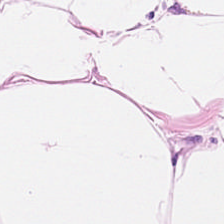H&E; FFPE tissue section.
Q: What does this patch show?
A: It is adipose.
